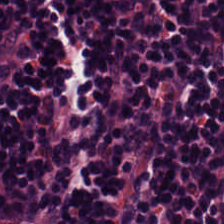0.5 µm per pixel · hematoxylin-and-eosin stained section. Finding — lymphocyte aggregate.
